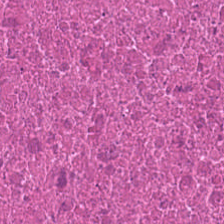Formalin-fixed paraffin-embedded section; 0.5 microns per pixel; H&E stain.
The tissue type is debris.
